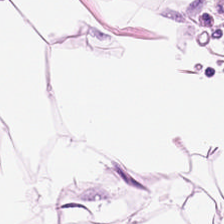Stain: hematoxylin-and-eosin stained section.
Tissue class: adipose.
